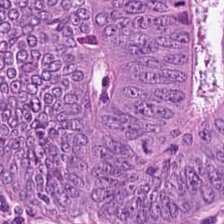Hematoxylin-and-eosin stained section.
Q: What is shown in this field?
A: This is colorectal adenocarcinoma epithelium.
